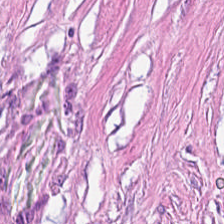Hematoxylin and eosin — Q: What is shown here?
A: The field shows desmoplastic stroma.
